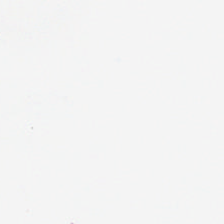Hematoxylin and eosin. 224×224 px patch. This patch shows empty background.
